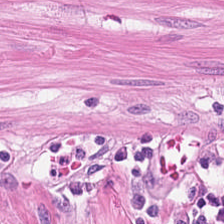Showing smooth-muscle tissue.
